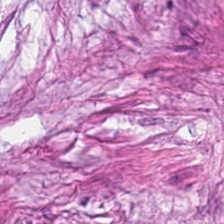Formalin-fixed paraffin-embedded section · H&E-stained tissue section · whole-slide-image patch.
{"tissue_type": "tumor stroma"}
